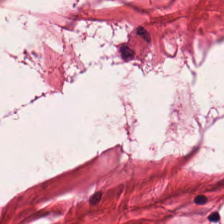Hematoxylin and eosin. Formalin-fixed paraffin-embedded section — Predominant tissue — muscularis.
